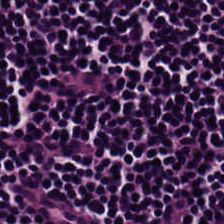Hematoxylin-and-eosin stained section. 224×224 pixel tile. 0.5 µm/px. The tissue class is lymphoid infiltrate.
